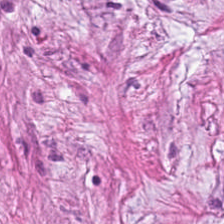Stain: H&E-stained tissue section.
Tissue class: desmoplastic stroma.
